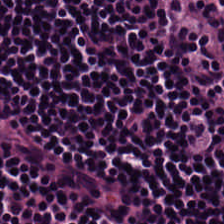Formalin-fixed paraffin-embedded section; 0.5 microns per pixel; H&E — Q: What tissue type is shown here?
A: This is lymphocyte aggregate.
